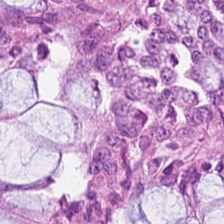Tissue — non-neoplastic colon mucosa.
